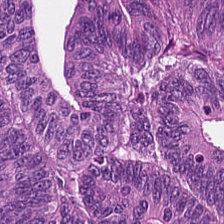H&E-stained tissue section. Impression — colorectal adenocarcinoma.
